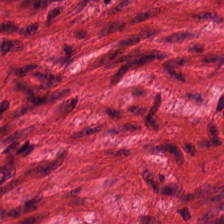0.5 µm per pixel · H&E stain · brightfield microscopy — The tissue here is smooth muscle.
